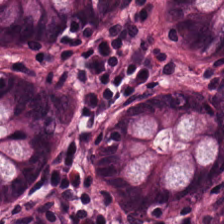{"tissue_type": "normal colonic mucosa"}
